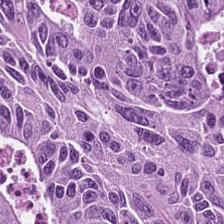H&E. Histology → malignant epithelium.
